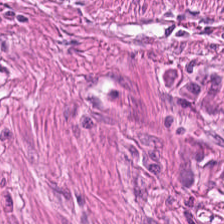H&E-stained tissue section.
Smooth-muscle tissue.
